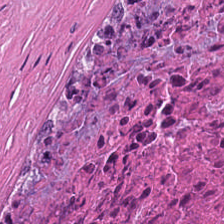H&E patch showing necrotic debris.
